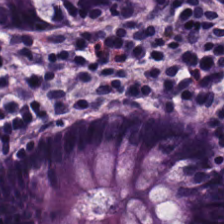Formalin-fixed paraffin-embedded section. Hematoxylin-and-eosin stained section.
The tissue here is normal colon mucosa.
